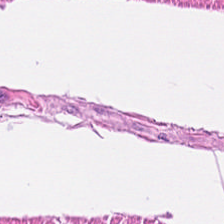Whole-slide-image patch; H&E stain. Predominantly smooth-muscle tissue.
